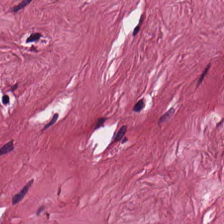H&E. 224×224 px patch. Brightfield microscopy — {"tissue_type": "desmoplastic stroma"}
